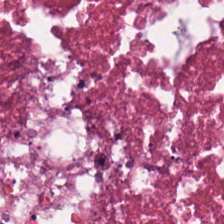The predominant tissue is necrotic debris.
